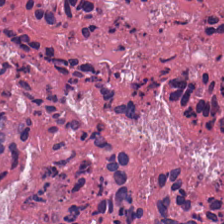224×224 px tile; FFPE tissue section; H&E-stained tissue section — Q: What is shown here?
A: Cellular debris.
